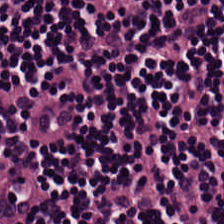H&E stain.
{"tissue_type": "lymphocyte aggregate"}
